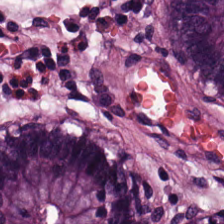Q: What is shown here?
A: This is benign colonic mucosa.
